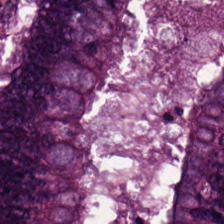Predominant tissue: tumor epithelium.
